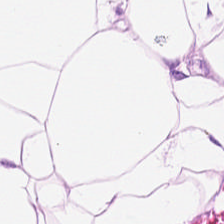Hematoxylin-and-eosin stained section.
Tissue class: fat tissue.
